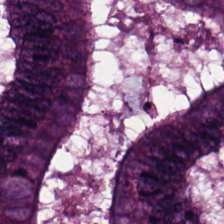Hematoxylin and eosin · brightfield · 0.5 µm per pixel. This patch shows adenocarcinoma.
